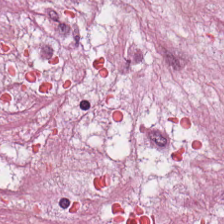Stain: H&E stain.
Resolution: 0.5 µm/px.
Preparation: FFPE.
Predominant tissue: tumor stroma.
